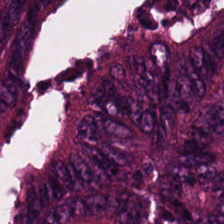0.5 microns per pixel · hematoxylin and eosin.
Tissue type: tumor epithelium.
